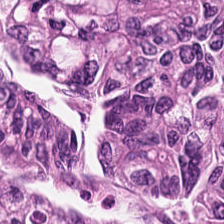Stain: hematoxylin and eosin.
Tissue: adenocarcinoma.
